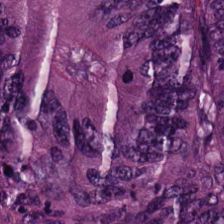0.5 microns per pixel; brightfield microscopy; H&E-stained tissue section — Histology — colorectal adenocarcinoma.
